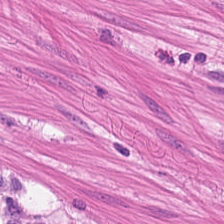H&E-stained tissue section. This patch shows smooth-muscle tissue.
